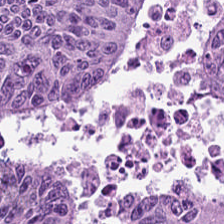H&E stain.
Showing adenocarcinoma.
